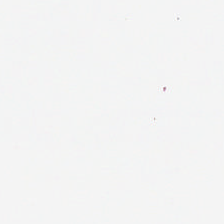H&E stain · FFPE tissue section.
Content: empty background.
